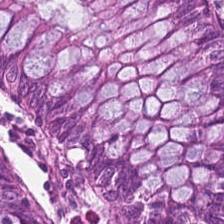Hematoxylin-and-eosin stained section. Brightfield. This patch shows benign colonic mucosa.
